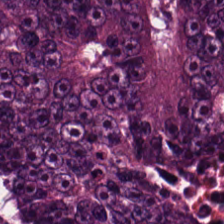Hematoxylin and eosin — This patch shows colorectal adenocarcinoma.
